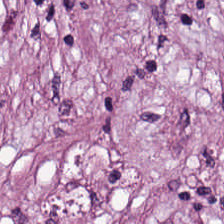This field is tumor-associated stroma.
